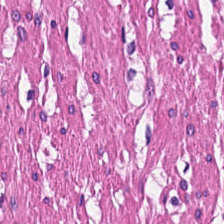H&E stain · 224×224 px patch.
Finding — muscularis.
